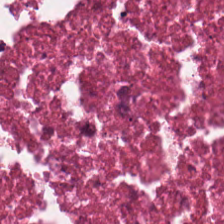Q: What is shown here?
A: Debris.
